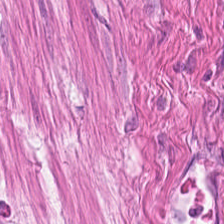20× equivalent magnification · hematoxylin-and-eosin stained section. Q: What is the predominant tissue type?
A: It is smooth-muscle tissue.
